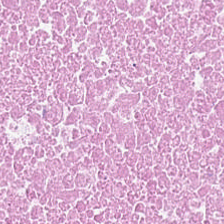Hematoxylin-and-eosin stained section — Q: What is shown in this field?
A: This is necrotic debris.
